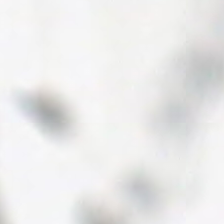Hematoxylin-and-eosin stained section. {"content": "background (no tissue)"}
